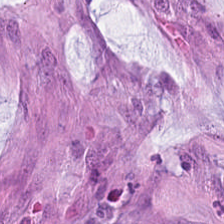H&E stain.
Q: What is the predominant tissue type?
A: It is mucus.
